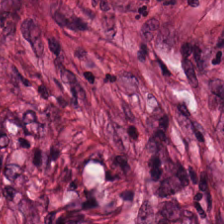H&E — Classification — desmoplastic stroma.
